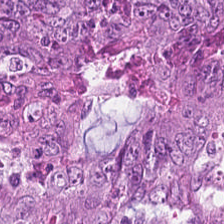Brightfield. H&E. Tissue type: colorectal adenocarcinoma epithelium.
